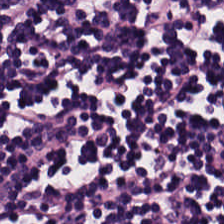H&E.
This patch shows lymphoid infiltrate.
